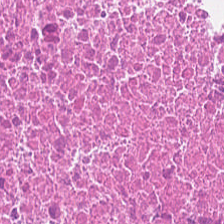H&E stain · WSI patch — Classification — cellular debris.
